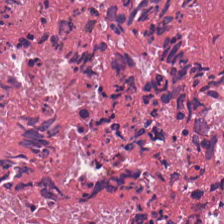FFPE; brightfield microscopy; H&E stain.
Q: What does this patch show?
A: This is cellular debris.
